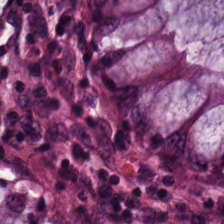0.5 microns per pixel. Hematoxylin and eosin. Q: Identify the tissue.
A: Normal colon mucosa.
